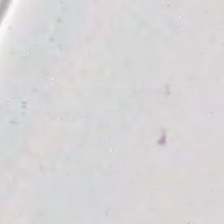H&E.
This patch shows no tissue.
